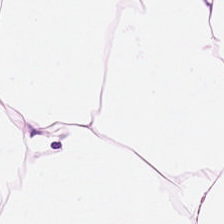H&E — adipose tissue.
